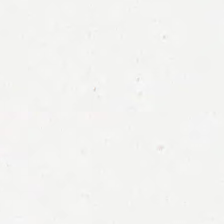Q: What is shown here?
A: Background.
